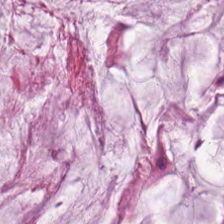The classification is extracellular mucin.
